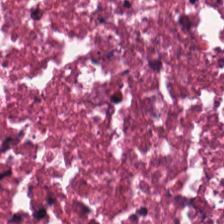20× equivalent magnification · H&E.
Debris.
